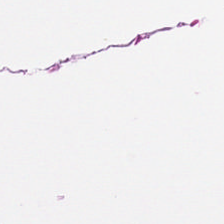Brightfield microscopy · H&E · 20× equivalent magnification. Tissue class: muscularis.
